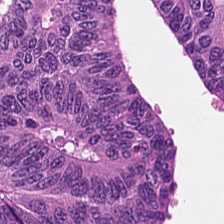Hematoxylin-and-eosin section: malignant epithelium.
